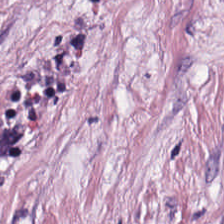H&E-stained section; the field shows cancer-associated stroma.
